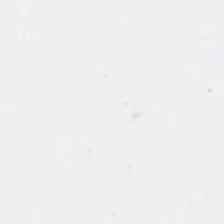H&E — {"content": "no tissue"}
